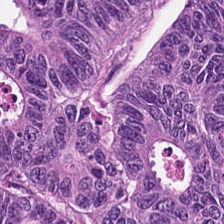Brightfield microscopy; 0.5 µm/px; H&E.
This field is tumor epithelium.
